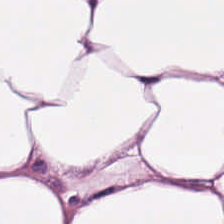H&E stain. The classification is adipose.
